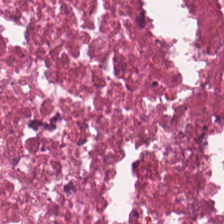H&E-stained tissue section · 224×224 px patch.
This patch shows debris.
